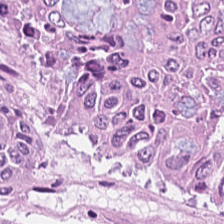20× equivalent magnification · H&E-stained tissue section. The tissue here is malignant epithelium.
